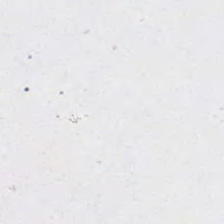Hematoxylin and eosin — Classification = background.
